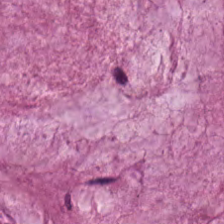Hematoxylin-and-eosin stained section.
The tissue type is extracellular mucin.
